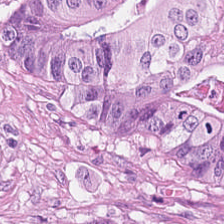Hematoxylin and eosin.
Tissue: adenocarcinoma.
